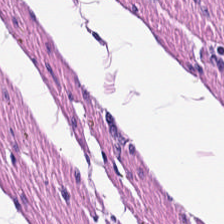H&E. Predominant tissue: muscularis.
